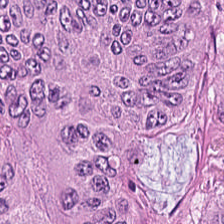H&E — This field is adenocarcinoma.
